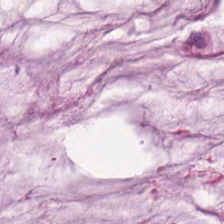{"tissue_type": "mucus"}
